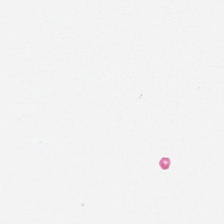Stain: hematoxylin and eosin.
Field content: no tissue.
